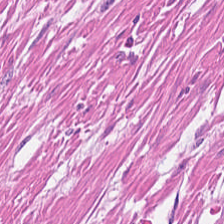H&E — Tissue — smooth muscle.
